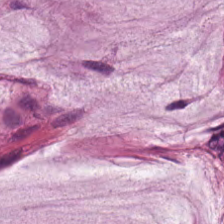Hematoxylin and eosin. Classification: mucus.
